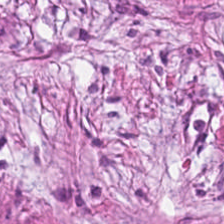Cancer-associated stroma.
